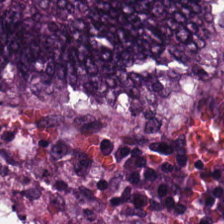Stain: hematoxylin and eosin.
Resolution: 0.5 µm/px.
Classification: malignant epithelium.
